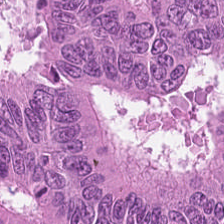Brightfield; 0.5 µm per pixel; H&E-stained tissue section. The tissue here is colorectal adenocarcinoma epithelium.
